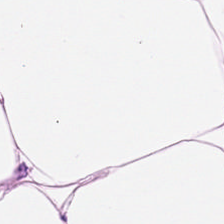H&E-stained tissue section. Q: What tissue is shown?
A: This is adipocytes.
